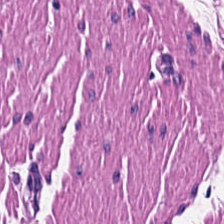Hematoxylin and eosin — Classification: muscularis.
